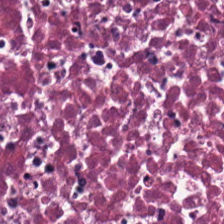Hematoxylin and eosin.
The tissue here is necrotic debris.
